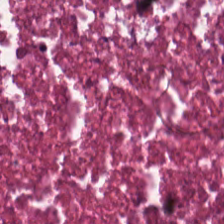0.5 microns per pixel. H&E-stained tissue section. WSI patch — This patch shows debris.
